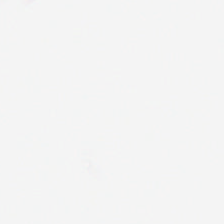224×224 px tile · 20× equivalent magnification · H&E stain — This field is background (no tissue).
